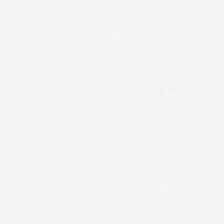Hematoxylin-and-eosin stained section — This patch shows background (no tissue).
